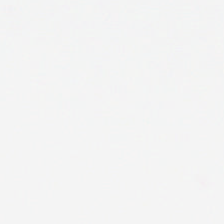Hematoxylin-and-eosin stained section.
Background — no tissue in this field.
